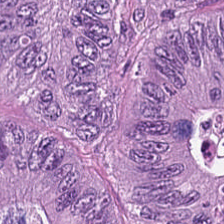H&E; 224×224 pixel tile — {"tissue_type": "colorectal adenocarcinoma"}
